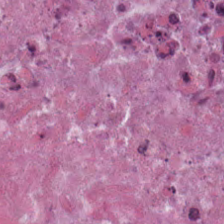Brightfield · hematoxylin-and-eosin stained section · FFPE tissue section. Tissue class — necrotic debris.
